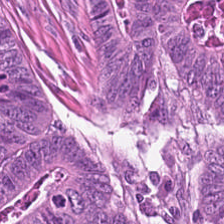0.5 µm/px; FFPE; hematoxylin-and-eosin stained section — Tissue type: malignant epithelium.
